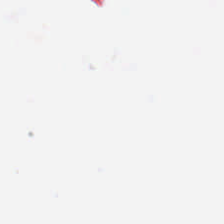H&E-stained tissue section. Q: What does this patch show?
A: Empty background.
